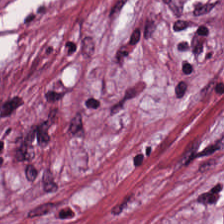H&E. Formalin-fixed paraffin-embedded section. 0.5 microns per pixel. Predominantly desmoplastic stroma.
